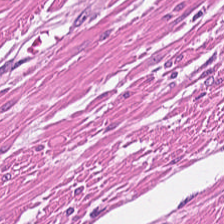224×224 px patch; hematoxylin and eosin. Showing smooth muscle.
